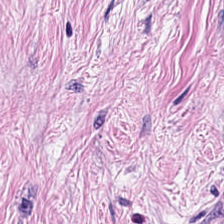H&E stain — Predominant tissue: tumor stroma.
